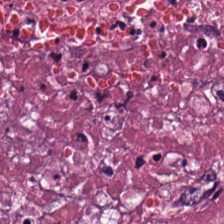Hematoxylin and eosin. Debris.
